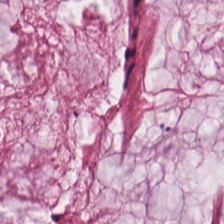Histology — mucin.
